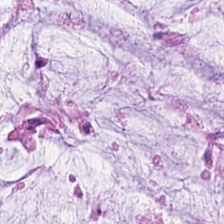H&E-stained tissue section.
Histology → extracellular mucin.
